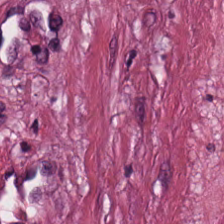Stain: H&E-stained tissue section.
Resolution: 0.5 microns per pixel.
Preparation: FFPE.
Predominant tissue: tumor-associated stroma.
